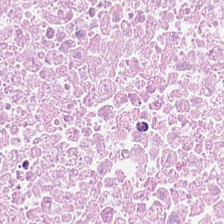H&E-stained tissue section showing cellular debris.
